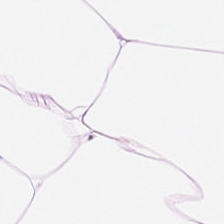H&E-stained tissue section — The predominant tissue is adipose.
